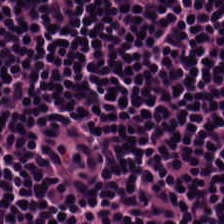224×224 px tile. H&E-stained tissue section. 20× equivalent magnification — The predominant tissue is lymphocytic infiltrate.
